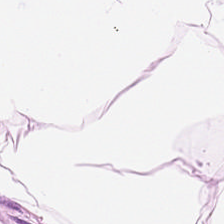FFPE · H&E — The predominant tissue is fat tissue.
